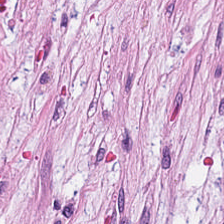Q: What is shown in this field?
A: The field shows desmoplastic stroma.
